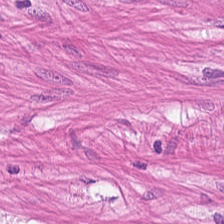H&E stain — Finding → smooth muscle.
